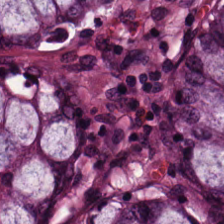H&E. This field is benign colonic mucosa.
